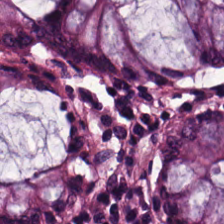224×224 pixel tile · 0.5 µm per pixel · hematoxylin-and-eosin stained section.
Tissue type = normal colonic mucosa.
